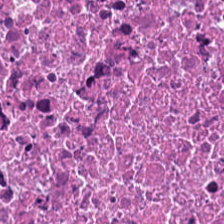Hematoxylin-and-eosin stained section; FFPE tissue section. Predominantly debris.
